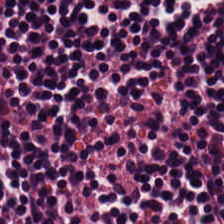H&E stain — The tissue type is lymphocytic infiltrate.
